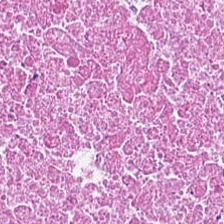The tissue here is debris.
